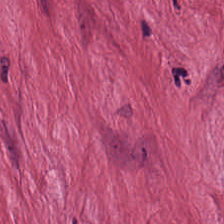Brightfield. H&E-stained tissue section.
Q: What is shown here?
A: Tumor-associated stroma.
